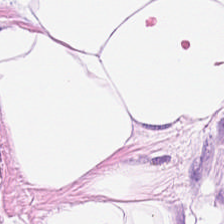The classification is fat tissue.
